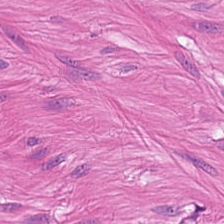Hematoxylin-and-eosin stained section. Q: Identify the tissue.
A: This is muscularis.
